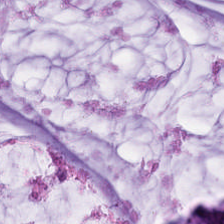H&E. This field is mucus.
